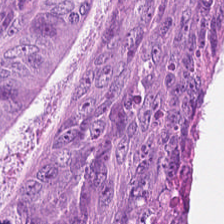Q: What tissue is shown?
A: Colorectal adenocarcinoma.
